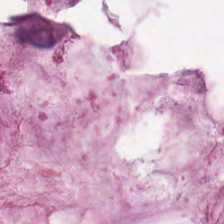Stain: hematoxylin and eosin.
Preparation: FFPE tissue section.
Tile size: 224×224 px patch.
Classification: mucin.
